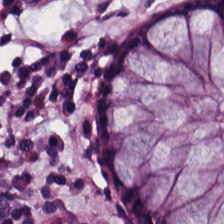Hematoxylin and eosin · FFPE · 20× equivalent magnification — Q: What is the predominant tissue type?
A: The field shows normal colonic mucosa.
